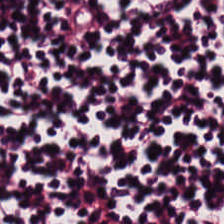Hematoxylin and eosin; FFPE.
Lymphocytes.
